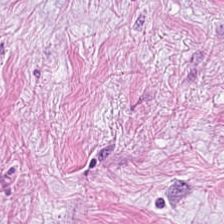H&E-stained section; the field shows tumor stroma.
